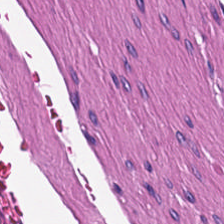H&E-stained tissue section.
This field is smooth-muscle tissue.
